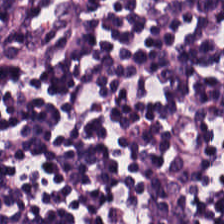Stain: hematoxylin and eosin.
Predominant tissue: lymphocyte aggregate.
